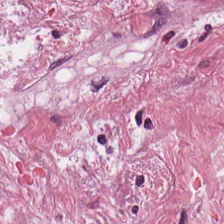H&E-stained section; the field shows tumor stroma.
